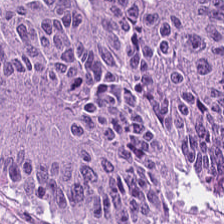H&E — Tumor epithelium.
